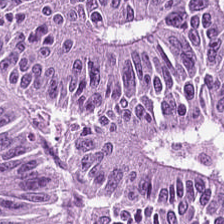FFPE tissue section · H&E — Impression — colorectal adenocarcinoma.
